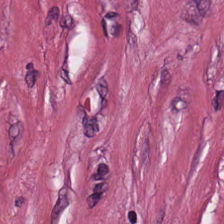H&E stain.
Q: What is the predominant tissue type?
A: The field shows cancer-associated stroma.
